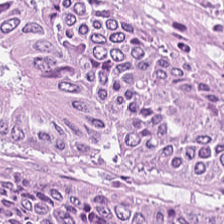Hematoxylin-and-eosin stained section — Tissue class: malignant epithelium.
